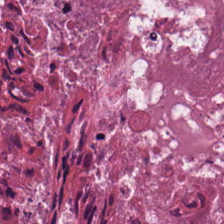Q: What is shown here?
A: This is debris.
